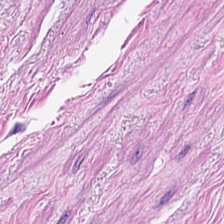H&E.
Tissue — muscularis.
